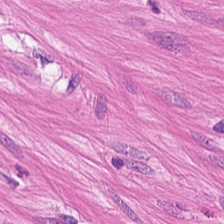FFPE. Hematoxylin-and-eosin stained section — The tissue class is smooth-muscle tissue.
